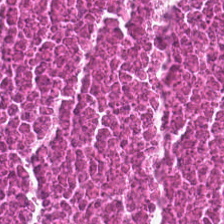H&E stain. {"tissue_type": "necrotic debris"}
